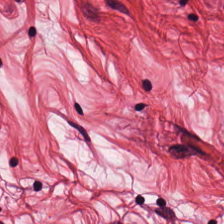Hematoxylin-and-eosin stained section; WSI patch; 224×224 pixel tile — This patch shows muscularis.
